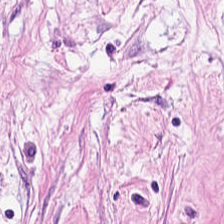Finding → tumor stroma.
